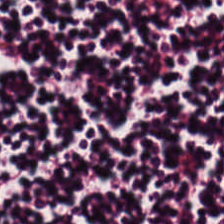Hematoxylin and eosin. This field is lymphocyte aggregate.
